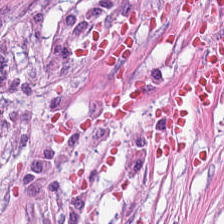0.5 microns per pixel; H&E-stained tissue section — Q: What does this patch show?
A: This is tumor-associated stroma.
